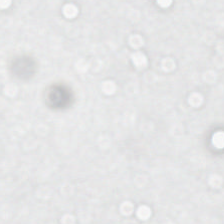{"content": "empty background"}
